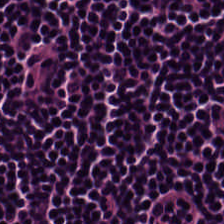Predominantly lymphocytes.
